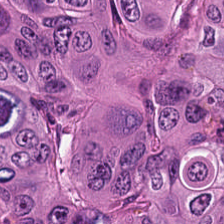Q: What is shown in this field?
A: It is colorectal adenocarcinoma.
